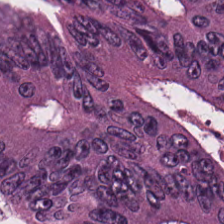Tissue — tumor epithelium.
